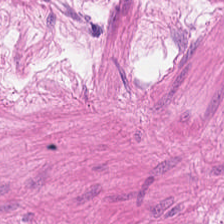Brightfield microscopy · H&E-stained tissue section.
Classification = smooth-muscle tissue.
